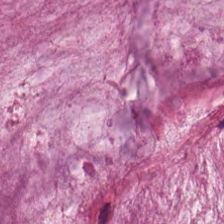224×224 px tile. Formalin-fixed paraffin-embedded section. H&E stain. Histology — extracellular mucin.
